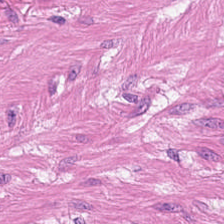Hematoxylin and eosin. Tissue: smooth-muscle tissue.
